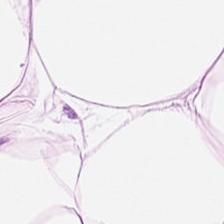H&E-stained tissue section. {"tissue_type": "adipose"}
